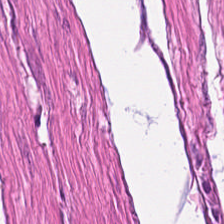H&E stain. 224×224 px patch. 0.5 µm per pixel.
This patch shows smooth muscle.
